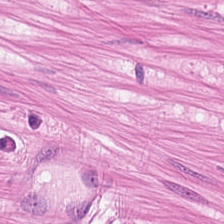Stain: hematoxylin-and-eosin stained section.
Classification: smooth muscle.
